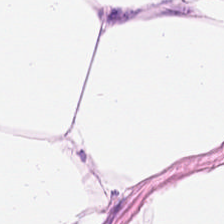20× equivalent magnification · H&E · 224×224 px patch.
Tissue — adipose tissue.
